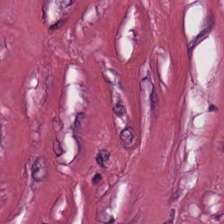Stain: hematoxylin and eosin.
Tissue class: tumor-associated stroma.
